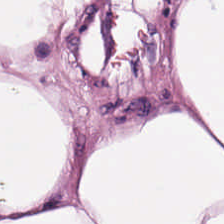Stain: hematoxylin-and-eosin stained section.
Tile size: 224×224 pixel tile.
Tissue: adipose.
